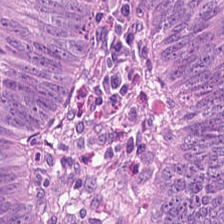Stain: H&E-stained tissue section.
Classification: colorectal adenocarcinoma.
